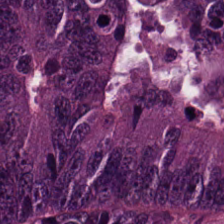Stain: H&E stain.
Tissue class: adenocarcinoma.
